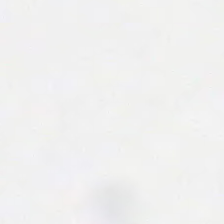H&E-stained tissue section.
Empty field — background (no tissue).
